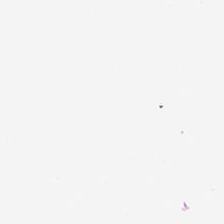0.5 µm/px. H&E stain. Histology — empty background.
